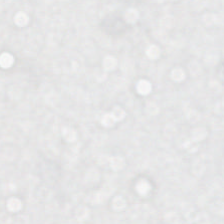Hematoxylin and eosin — Field content — background (no tissue).
